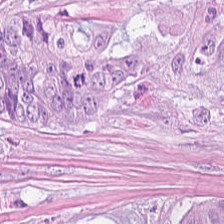Hematoxylin-and-eosin stained section — {"tissue_type": "adenocarcinoma"}
